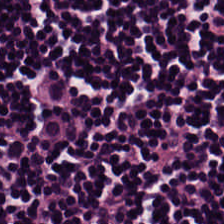Hematoxylin and eosin; whole-slide-image patch — The tissue is lymphocyte aggregate.
